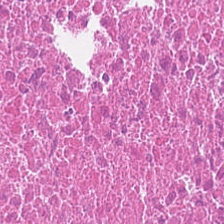Predominant tissue = debris.
